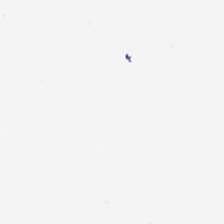Stain: H&E-stained tissue section.
Resolution: 0.5 µm/px.
Tile size: 224×224 pixel tile.
Field content: background (no tissue).
